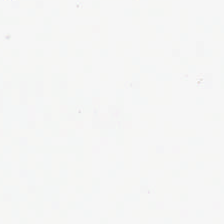This patch shows background (no tissue).
